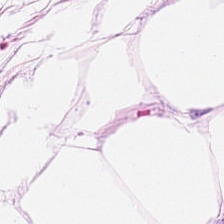{"tissue_type": "adipose"}
